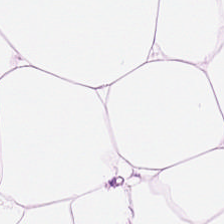0.5 µm per pixel · H&E-stained tissue section — {"tissue_type": "fat tissue"}
